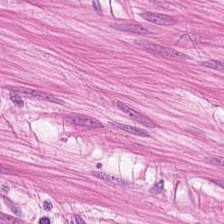Hematoxylin-and-eosin stained section. {"tissue_type": "muscularis"}
